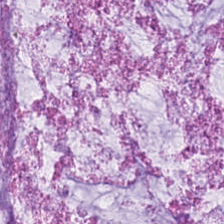H&E-stained tissue section · 224×224 pixel tile.
Histology → extracellular mucin.
